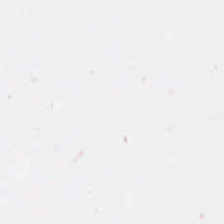Hematoxylin and eosin — This patch shows empty background.
